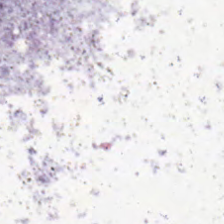224×224 px tile · H&E stain.
The content is background.
